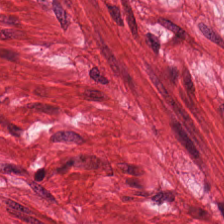Stain: H&E.
Predominant tissue: smooth-muscle tissue.
